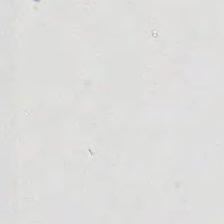Hematoxylin-and-eosin stained section. Background — no tissue in this field.
